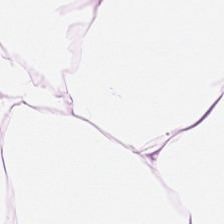Showing adipose.
